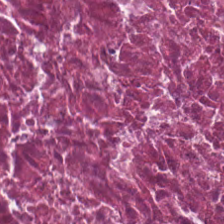The tissue class is necrotic debris.
